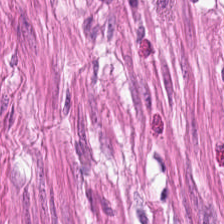Stain: hematoxylin and eosin.
Tile size: 224×224 px patch.
Preparation: FFPE.
Tissue type: smooth muscle.
